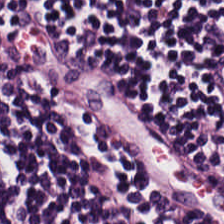H&E. The tissue here is lymphocytes.
